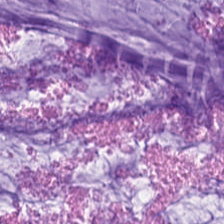0.5 µm per pixel; 224×224 px patch; H&E-stained tissue section.
The tissue here is mucin.
